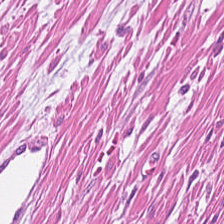This patch shows smooth muscle.
